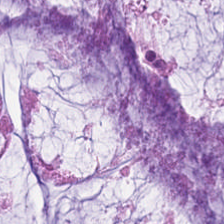Hematoxylin-and-eosin stained section. The predominant tissue is mucus.
